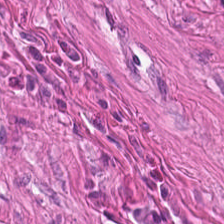H&E. Q: What tissue is shown?
A: This is smooth-muscle tissue.
